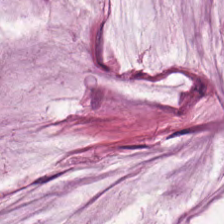Predominant tissue = mucus.
